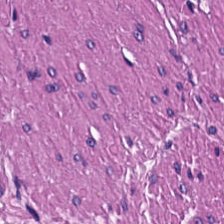H&E-stained tissue section; formalin-fixed paraffin-embedded section; 224×224 px patch. Showing smooth muscle.
